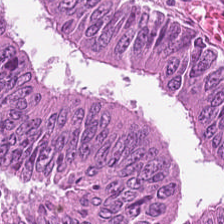224×224 pixel tile · 0.5 µm per pixel · H&E stain.
Q: What tissue type is shown here?
A: Tumor epithelium.
